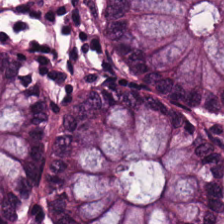H&E; 20× equivalent magnification. Predominantly normal colonic mucosa.
